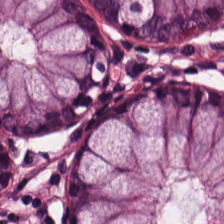Stain: H&E-stained tissue section.
Tile size: 224×224 pixel tile.
Tissue type: non-neoplastic colon mucosa.
